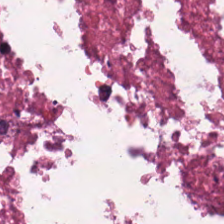H&E stain. Showing debris.
